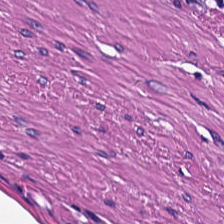0.5 microns per pixel; hematoxylin and eosin. Finding — smooth muscle.
